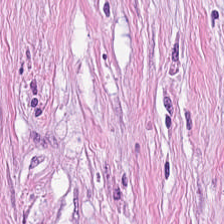Predominantly desmoplastic stroma.
